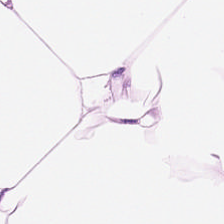H&E stain. Showing adipose.
